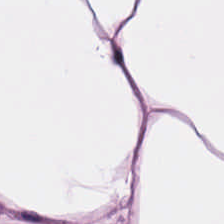H&E. WSI patch.
The tissue here is adipose.
